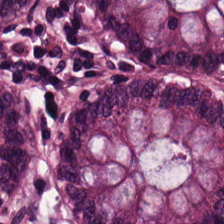H&E-stained tissue section — Predominantly normal colonic mucosa.
